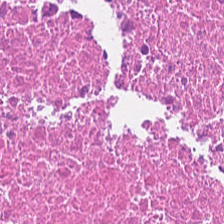Predominantly debris.
